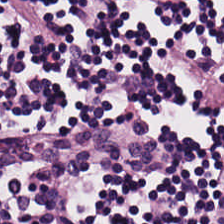Stain: hematoxylin and eosin.
Predominant tissue: lymphoid infiltrate.
